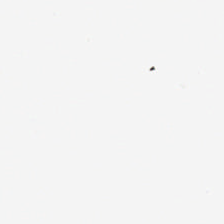Brightfield. Hematoxylin and eosin. Formalin-fixed paraffin-embedded section — Empty field — no tissue.
